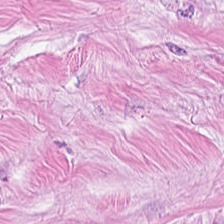WSI patch; hematoxylin-and-eosin stained section.
Finding — cancer-associated stroma.
